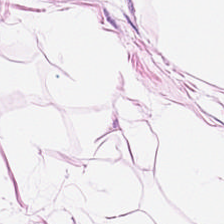Hematoxylin and eosin.
Q: What is shown in this field?
A: Adipose tissue.
